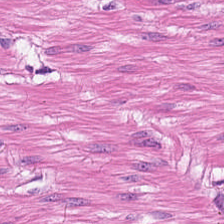Hematoxylin and eosin · FFPE.
Q: What tissue is shown?
A: Smooth muscle.
